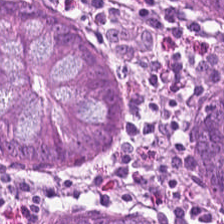Finding → normal colon mucosa.
